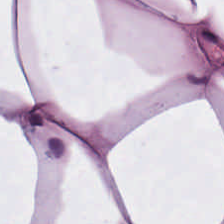0.5 µm/px. Hematoxylin-and-eosin stained section. The predominant tissue is fat tissue.
